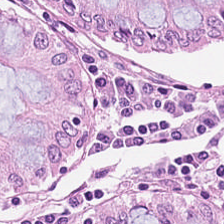H&E-stained tissue section · 0.5 microns per pixel · WSI patch — Q: What is the predominant tissue type?
A: Non-neoplastic colon mucosa.
